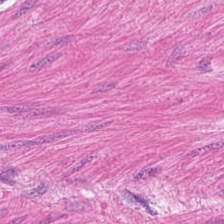H&E-stained section; the field shows smooth-muscle tissue.
